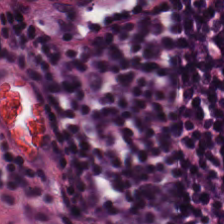Formalin-fixed paraffin-embedded section. Hematoxylin-and-eosin stained section. Finding → lymphocytes.
